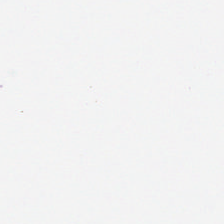H&E stain — Q: What is shown here?
A: Empty background.
